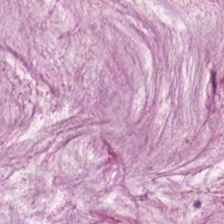Stain: H&E-stained tissue section.
Tissue class: mucin.
